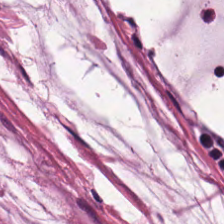20× equivalent magnification; hematoxylin and eosin — Finding — mucin.
